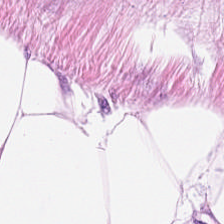Showing adipose tissue.
